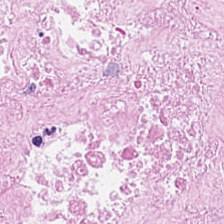Hematoxylin-and-eosin stained section. 224×224 pixel tile. Tissue class — necrotic debris.
